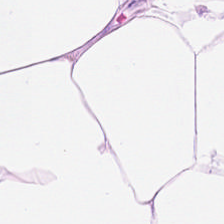H&E stain.
This field is fat tissue.
